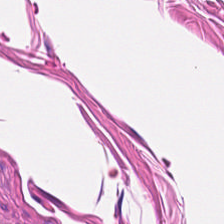Hematoxylin-and-eosin stained section · 224×224 pixel tile.
Histology → smooth muscle.
